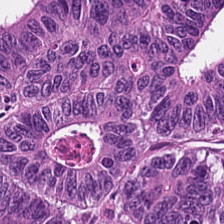Q: Classify this patch.
A: The field shows tumor epithelium.
